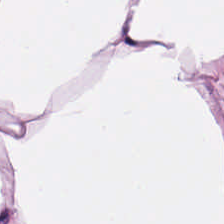Hematoxylin and eosin. Fat tissue.
